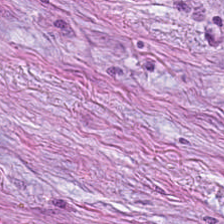FFPE. H&E.
Showing tumor stroma.
